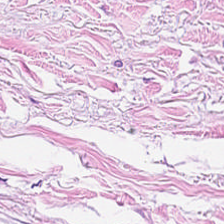H&E stain — Impression → cancer-associated stroma.
